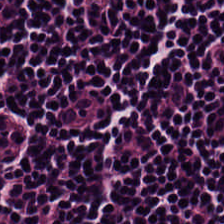H&E.
The predominant tissue is lymphocytes.
